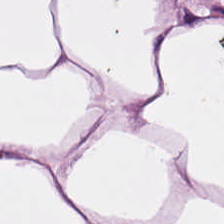H&E-stained tissue section; 0.5 µm/px — Classification: adipose tissue.
